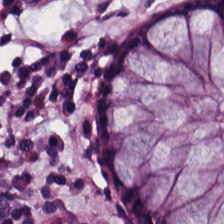0.5 µm/px · 224×224 px tile · hematoxylin-and-eosin stained section. The predominant tissue is normal colon mucosa.
